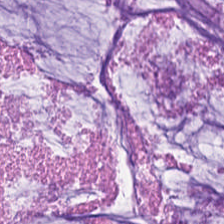H&E-stained tissue section.
Impression — extracellular mucin.
